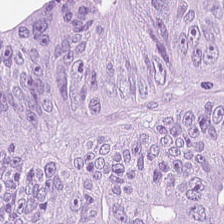Formalin-fixed paraffin-embedded section; hematoxylin and eosin.
The predominant tissue is colorectal adenocarcinoma epithelium.
